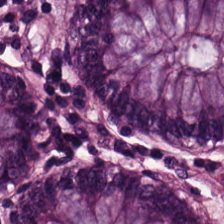{"tissue_type": "normal colonic mucosa"}
